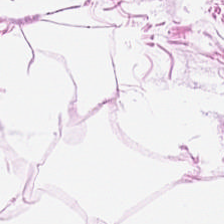Q: What is the predominant tissue type?
A: It is fat tissue.
